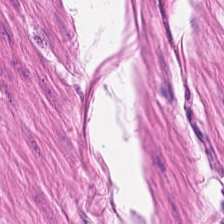The tissue here is smooth muscle.
